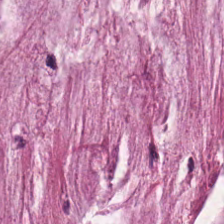H&E-stained tissue section. Classification — mucin.
